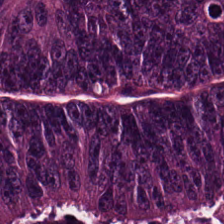Histology → colorectal adenocarcinoma epithelium.
